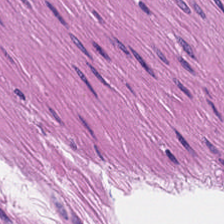H&E — Histology → smooth muscle.
